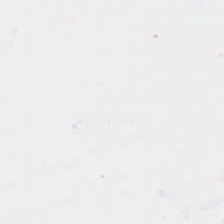Stain: hematoxylin and eosin.
Classification: background (no tissue).
